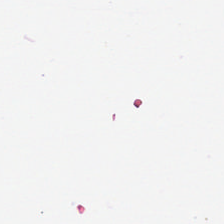Classification — no tissue.
